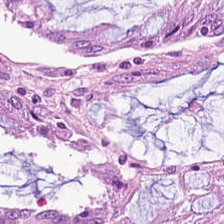Hematoxylin and eosin — The predominant tissue is non-neoplastic colon mucosa.
